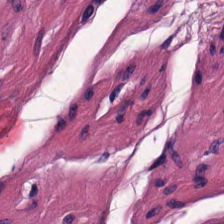Stain: H&E stain.
Tissue type: smooth muscle.
